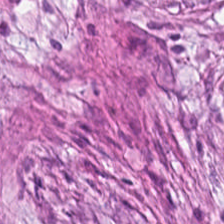H&E stain.
Tissue type — tumor stroma.
